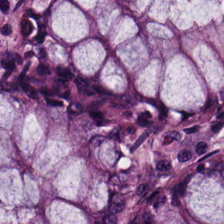Hematoxylin and eosin · 0.5 microns per pixel — {"tissue_type": "normal colonic mucosa"}
